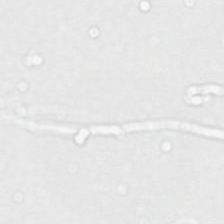H&E stain · FFPE tissue section. Background.
